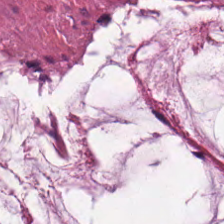Hematoxylin and eosin — Classification — mucin.
